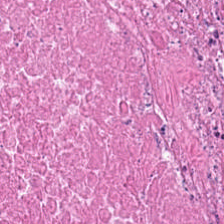FFPE; H&E-stained tissue section; 224×224 px tile.
Showing cellular debris.
